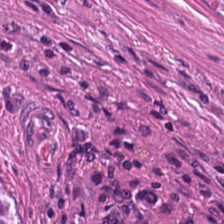H&E stain. The tissue here is mucus.
